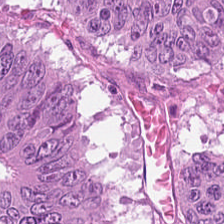H&E stain. Predominant tissue: colorectal adenocarcinoma epithelium.
